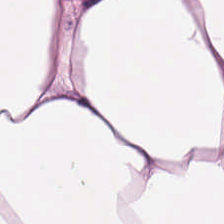FFPE tissue section; 224×224 px patch; H&E.
Q: What is shown in this field?
A: This is fat tissue.
